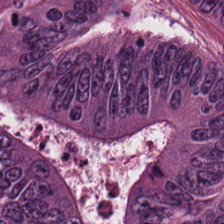H&E-stained tissue section — The predominant tissue is tumor epithelium.
